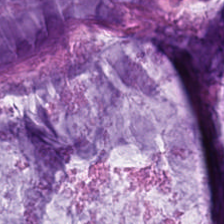H&E — {"tissue_type": "mucin"}
